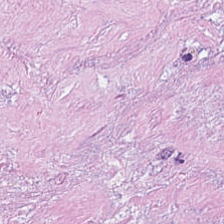H&E-stained tissue section.
The tissue here is necrotic debris.
